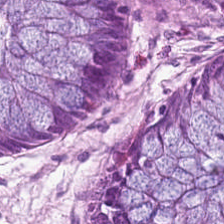Finding → normal colonic mucosa.
